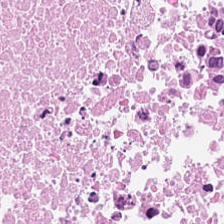Formalin-fixed paraffin-embedded section. H&E stain — Q: What is the predominant tissue type?
A: This is cellular debris.
